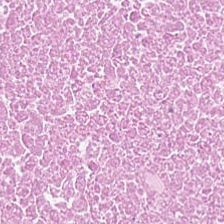Hematoxylin-and-eosin stained section — Tissue class — debris.
